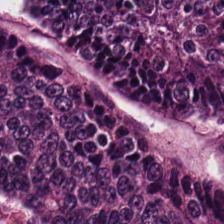Hematoxylin-and-eosin stained section — This field is adenocarcinoma.
